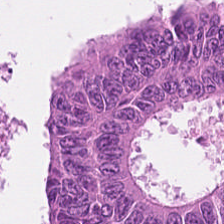Hematoxylin-and-eosin stained section.
Showing tumor epithelium.
